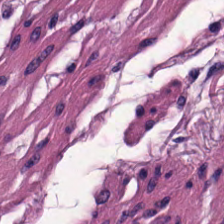Stain: H&E.
Tissue class: smooth muscle.
